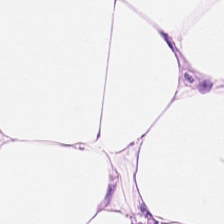H&E-stained tissue section; brightfield. The predominant tissue is adipose.
